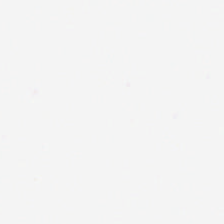Hematoxylin and eosin.
Content: background (no tissue).
